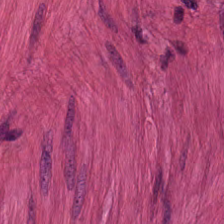Hematoxylin and eosin; whole-slide-image patch. Predominant tissue: smooth-muscle tissue.
